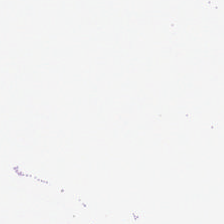Hematoxylin and eosin; 224×224 px tile — This patch shows background (no tissue).
